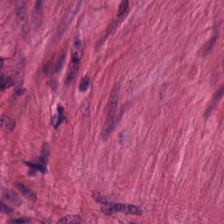Hematoxylin-and-eosin stained section; FFPE.
Tissue: smooth-muscle tissue.
